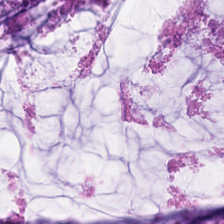Brightfield microscopy; hematoxylin-and-eosin stained section; formalin-fixed paraffin-embedded section.
Q: What does this patch show?
A: This is mucus.
